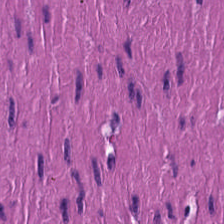FFPE. Brightfield microscopy. H&E stain. {"tissue_type": "smooth-muscle tissue"}
